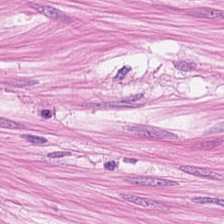Hematoxylin-and-eosin stained section. 0.5 µm/px. Showing smooth-muscle tissue.
